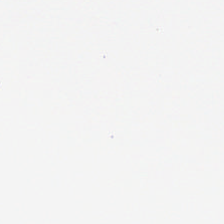Q: What does this patch show?
A: Empty background.
